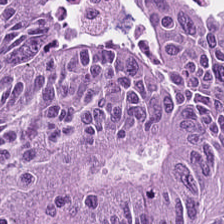H&E stain. Q: What tissue is shown?
A: This is malignant epithelium.
